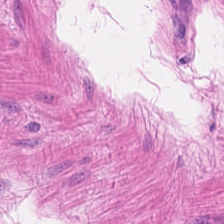Stain: hematoxylin-and-eosin stained section.
Predominant tissue: smooth muscle.
